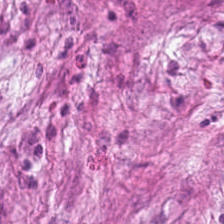H&E stain. Tissue type = tumor stroma.
